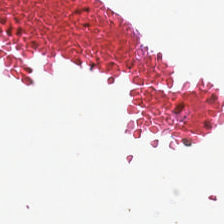224×224 px tile; H&E — Q: What is shown here?
A: This is background (no tissue).
